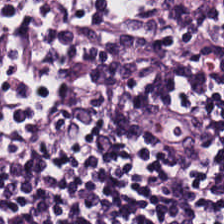H&E. 224×224 px tile. 20× equivalent magnification. The predominant tissue is lymphoid infiltrate.
